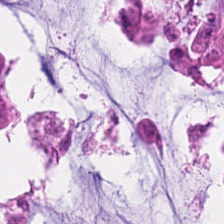Hematoxylin and eosin · FFPE — The tissue here is colorectal adenocarcinoma.
